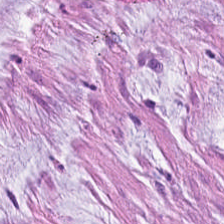224×224 px tile · H&E.
Predominant tissue — mucus.
